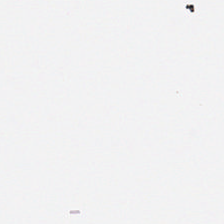Brightfield microscopy · H&E-stained tissue section · 0.5 microns per pixel.
{"content": "background"}
